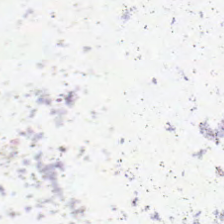H&E-stained tissue section.
Classification = background (no tissue).
